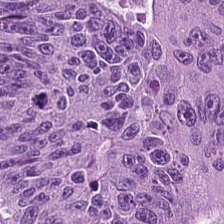This patch shows malignant epithelium.
